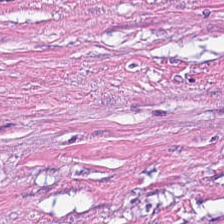Hematoxylin and eosin.
Predominant tissue: tumor stroma.
